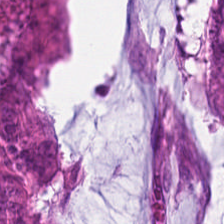H&E. Showing colorectal adenocarcinoma.
